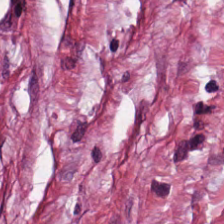Hematoxylin and eosin — This field is desmoplastic stroma.
